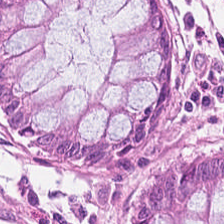Hematoxylin and eosin · 224×224 px tile · FFPE — Impression — benign colonic mucosa.
